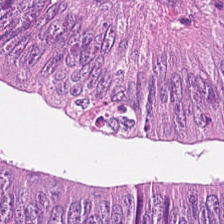H&E-stained tissue section. FFPE tissue section — Q: What is the predominant tissue type?
A: The field shows adenocarcinoma.
